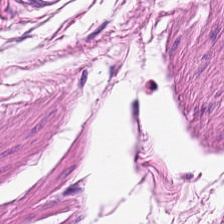Whole-slide-image patch. 0.5 microns per pixel. H&E-stained tissue section — This patch shows smooth muscle.
